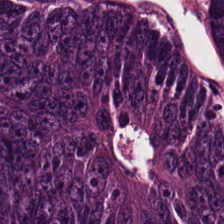Hematoxylin-and-eosin stained section — This patch shows malignant epithelium.
